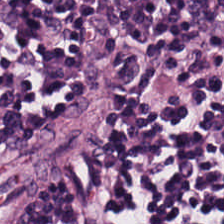H&E-stained tissue section — Q: What is the predominant tissue type?
A: The field shows lymphocytic infiltrate.
